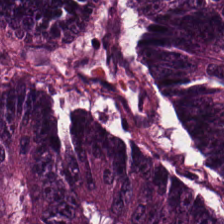Hematoxylin and eosin — The tissue is colorectal adenocarcinoma epithelium.
